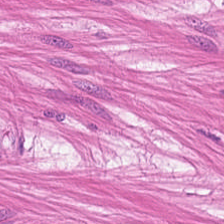H&E-stained tissue section.
Q: What is shown here?
A: This is smooth muscle.
